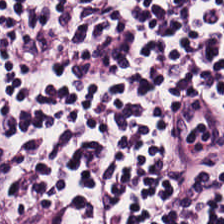Hematoxylin and eosin · 0.5 µm per pixel · formalin-fixed paraffin-embedded section. {"tissue_type": "lymphoid infiltrate"}
